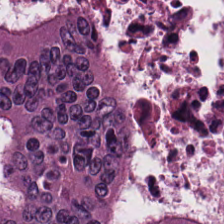H&E — Tissue class — malignant epithelium.
